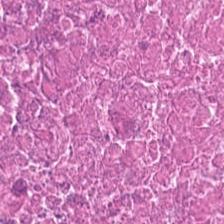H&E.
Tissue: cellular debris.
